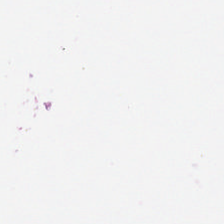H&E-stained tissue section.
Empty background.
